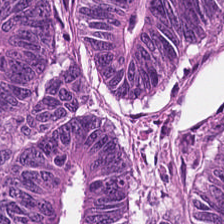H&E.
Q: What is the predominant tissue type?
A: Tumor epithelium.
